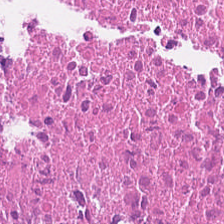{"tissue_type": "debris"}
